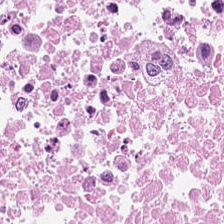Stain: H&E stain.
Classification: debris.
